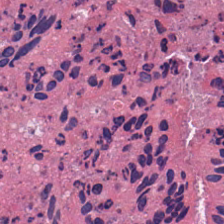H&E stain.
The predominant tissue is cellular debris.
